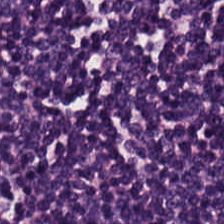Hematoxylin-and-eosin stained section. 0.5 µm/px. 224×224 pixel tile.
Q: Identify the tissue.
A: It is lymphocyte aggregate.
